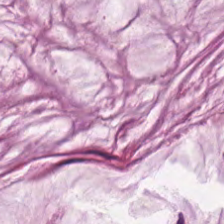224×224 px tile. Hematoxylin and eosin.
Q: Classify this patch.
A: Extracellular mucin.
